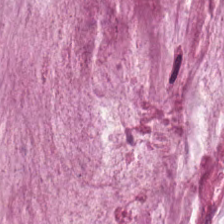H&E. Predominantly mucus.
